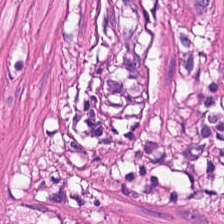H&E-stained tissue section showing muscularis.
